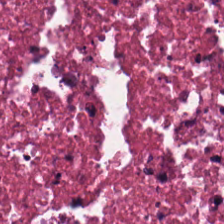H&E-stained tissue section. The classification is cellular debris.
